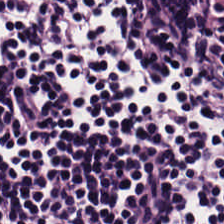Classification: lymphoid infiltrate.
